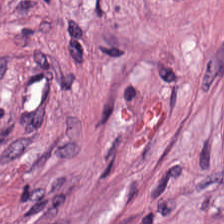Hematoxylin-and-eosin stained section — Q: What tissue is shown?
A: This is tumor-associated stroma.
